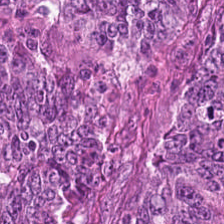The tissue here is tumor epithelium.
